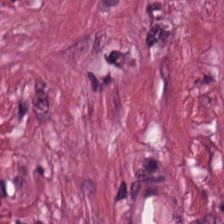FFPE tissue section · H&E-stained tissue section. Histology → tumor-associated stroma.
